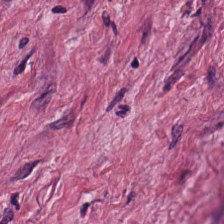Brightfield; hematoxylin and eosin.
This patch shows desmoplastic stroma.
